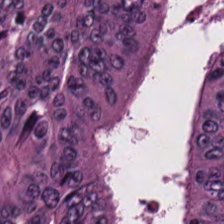Stain: hematoxylin-and-eosin stained section.
Tissue type: malignant epithelium.
